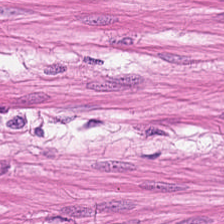Tissue class — muscularis.
